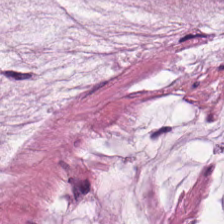Hematoxylin and eosin. Extracellular mucin.
